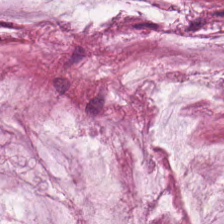FFPE tissue section. H&E stain.
Q: Classify this patch.
A: It is extracellular mucin.
